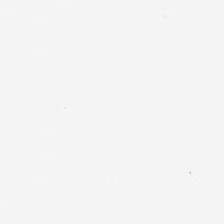Field content = empty background.
